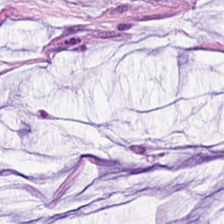Stain: hematoxylin and eosin.
Tissue class: extracellular mucin.
